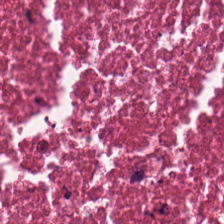H&E-stained tissue section. The tissue here is cellular debris.
